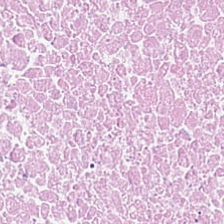H&E — Q: Identify the tissue.
A: This is cellular debris.
